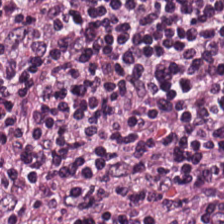Stain: H&E-stained tissue section.
Tile size: 224×224 pixel tile.
Acquisition: WSI patch.
Tissue: lymphocyte aggregate.
